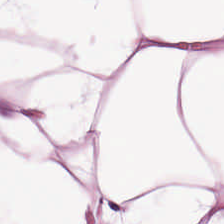Stain: hematoxylin and eosin.
Tissue: adipocytes.
